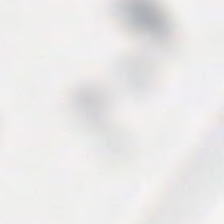This patch shows background.
